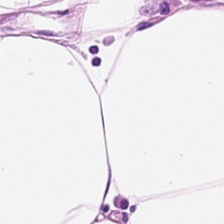H&E-stained tissue section.
Histology — adipose tissue.
